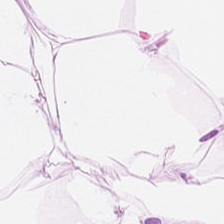Hematoxylin-and-eosin stained section; whole-slide-image patch — Finding — adipose tissue.
